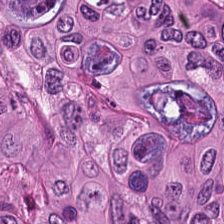H&E stain.
Q: What tissue type is shown here?
A: It is malignant epithelium.
